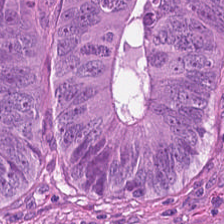H&E-stained tissue section.
The predominant tissue is tumor epithelium.
